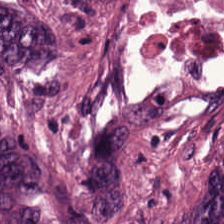Q: What is the predominant tissue type?
A: It is colorectal adenocarcinoma epithelium.
